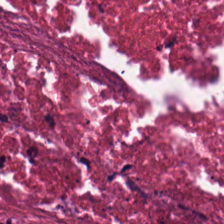H&E-stained section; the field shows debris.
